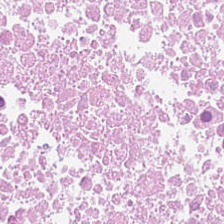FFPE tissue section. Hematoxylin-and-eosin stained section.
Finding — cellular debris.
